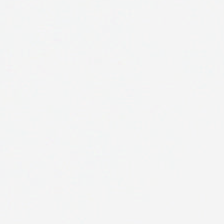H&E-stained tissue section.
Classification: background.
